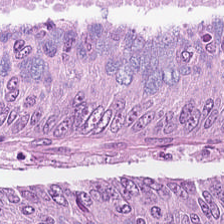Stain: hematoxylin and eosin.
Resolution: 20× equivalent magnification.
Tile size: 224×224 pixel tile.
Tissue type: colorectal adenocarcinoma epithelium.
